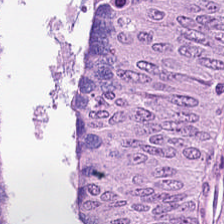H&E-stained tissue section showing adenocarcinoma.
